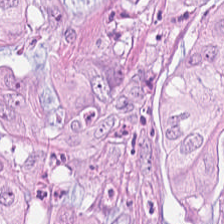Stain: H&E.
Predominant tissue: colorectal adenocarcinoma.
